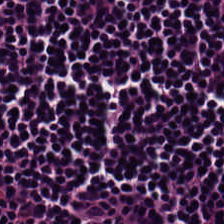This field is lymphoid infiltrate.
